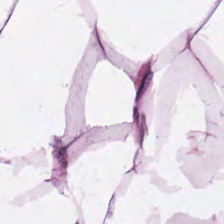Brightfield. H&E stain. 20× equivalent magnification. Q: What is shown here?
A: It is fat tissue.
